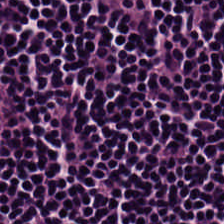224×224 pixel tile. H&E.
Predominantly lymphoid infiltrate.
